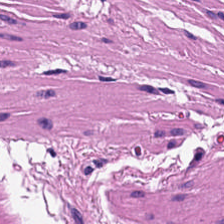Brightfield microscopy. FFPE. H&E.
The tissue type is smooth muscle.
